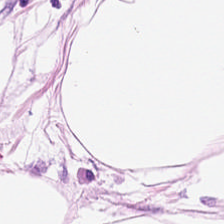Hematoxylin and eosin.
Predominant tissue = adipose tissue.
